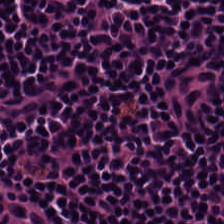Tissue: lymphoid infiltrate.
